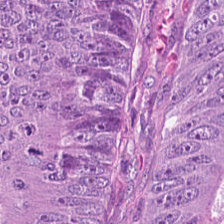Hematoxylin and eosin; 20× equivalent magnification; 224×224 px tile.
Colorectal adenocarcinoma epithelium.
